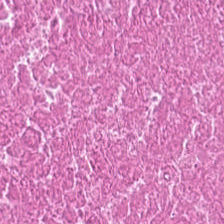Tissue type = cellular debris.
